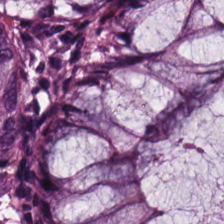H&E-stained tissue section.
Showing non-neoplastic colon mucosa.
